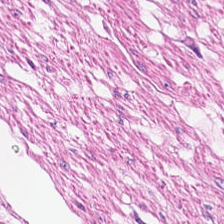H&E-stained tissue section.
Predominantly muscularis.
